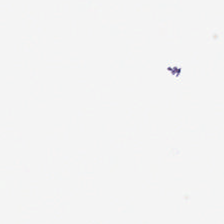Background — no tissue in this field.
